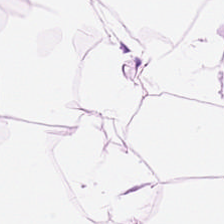Finding — adipocytes.
